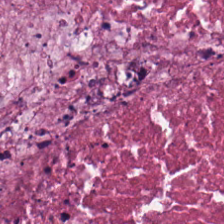H&E — debris.
